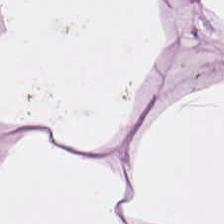H&E. Histology → fat tissue.
